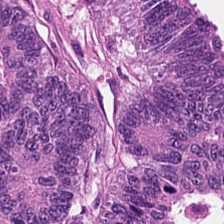H&E-stained tissue section. 224×224 px patch. 0.5 µm/px. The tissue is colorectal adenocarcinoma epithelium.
